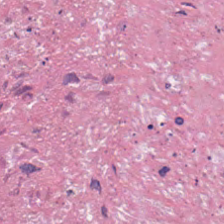Stain: H&E-stained tissue section.
Classification: necrotic debris.
